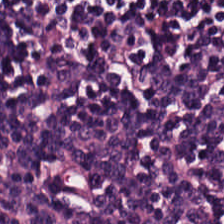H&E. Tissue type = lymphocyte aggregate.
